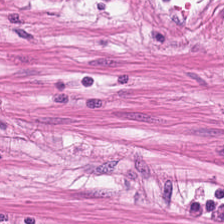Stain: H&E stain.
Classification: smooth muscle.
